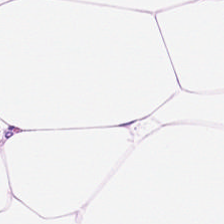0.5 µm/px; formalin-fixed paraffin-embedded section; H&E. Showing adipocytes.
